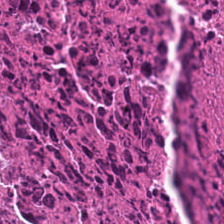The predominant tissue is necrotic debris.
